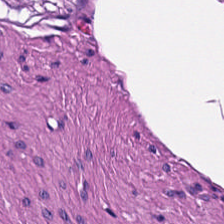0.5 microns per pixel; H&E. Tissue class: smooth muscle.
